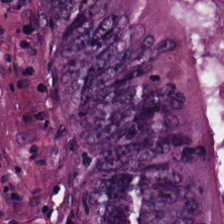H&E-stained tissue section. Colorectal adenocarcinoma epithelium.
